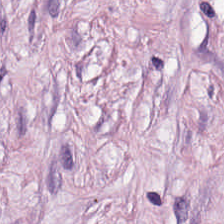224×224 px tile. Hematoxylin and eosin. 0.5 microns per pixel — This field is tumor-associated stroma.
